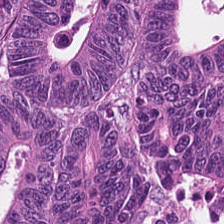Tissue class — adenocarcinoma.
